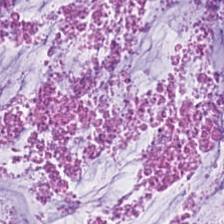H&E stain. {"tissue_type": "extracellular mucin"}
